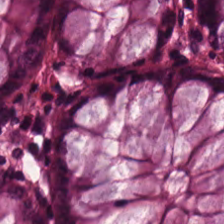H&E-stained tissue section — Tissue type = normal colon mucosa.
